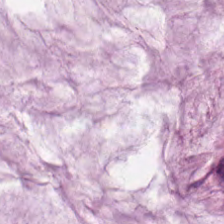Formalin-fixed paraffin-embedded section · H&E. The tissue here is mucin.
